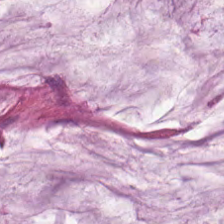Stain: H&E-stained tissue section.
Classification: mucin.
